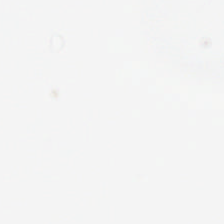FFPE tissue section. WSI patch. H&E stain — Content = background.
